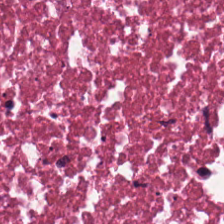Hematoxylin and eosin. 0.5 µm/px — Predominant tissue: cellular debris.
